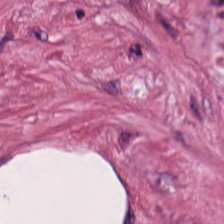Hematoxylin-and-eosin stained section. Formalin-fixed paraffin-embedded section.
Q: What is shown here?
A: The field shows tumor-associated stroma.
